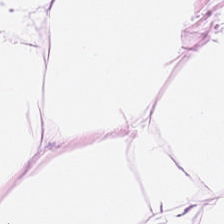224×224 pixel tile. H&E. Tissue type — adipocytes.
